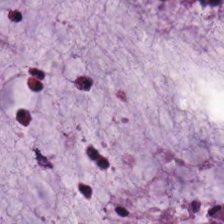FFPE tissue section. H&E-stained tissue section.
This field is mucus.
